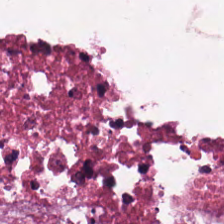H&E · 0.5 microns per pixel · brightfield microscopy. This patch shows necrotic debris.
